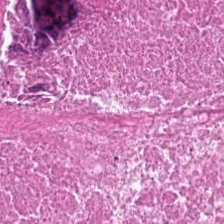Q: What does this patch show?
A: It is debris.
